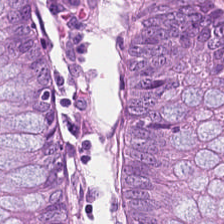H&E stain. FFPE. Impression → normal colon mucosa.
